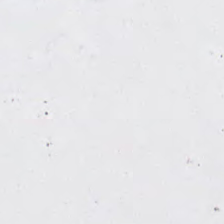H&E-stained tissue section. Classification: background.
